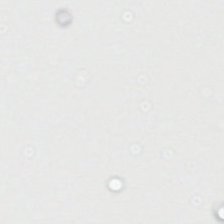{"content": "background"}
